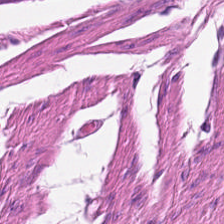Whole-slide-image patch. H&E-stained tissue section. FFPE tissue section.
The tissue class is smooth-muscle tissue.
